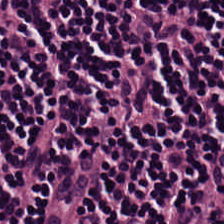Hematoxylin and eosin. Tissue class — lymphocytes.
